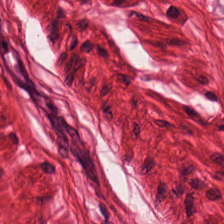Stain: hematoxylin-and-eosin stained section.
Tissue type: muscularis.
